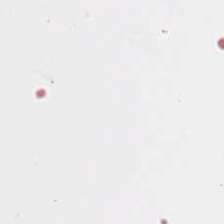Stain: hematoxylin-and-eosin stained section.
Preparation: FFPE tissue section.
Classification: empty background.
